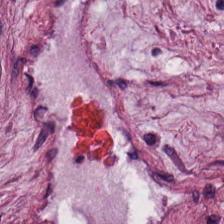H&E-stained tissue section. Predominantly desmoplastic stroma.
